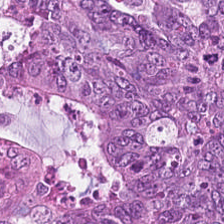Q: Classify this patch.
A: This is malignant epithelium.
